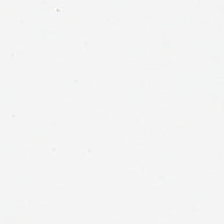H&E.
The content is background.
